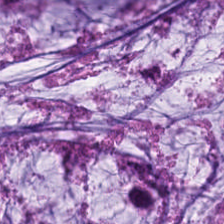Extracellular mucin.
